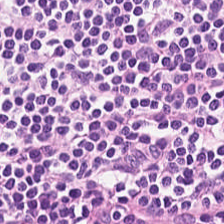H&E-stained tissue section.
The tissue is lymphoid infiltrate.
